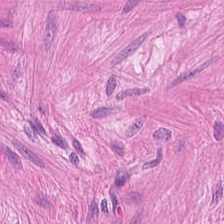H&E-stained tissue section showing muscularis.
